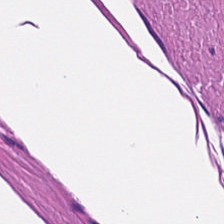20× equivalent magnification. Hematoxylin and eosin.
Tissue type: muscularis.
